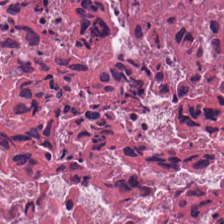Stain: H&E stain.
Tissue type: necrotic debris.
